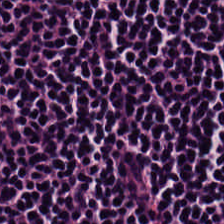Tissue class — lymphoid infiltrate.
